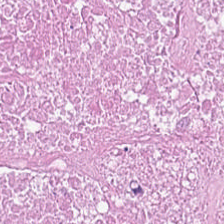WSI patch; H&E-stained tissue section; formalin-fixed paraffin-embedded section.
Predominantly cellular debris.
